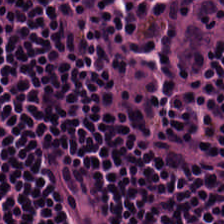Stain: hematoxylin-and-eosin stained section.
Resolution: 0.5 µm per pixel.
Preparation: FFPE tissue section.
Tissue type: lymphocytic infiltrate.
